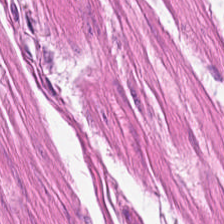Hematoxylin-and-eosin stained section — This patch shows smooth-muscle tissue.
